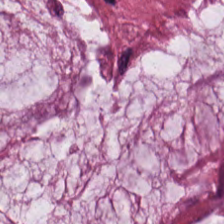Hematoxylin and eosin — Histology — mucus.
